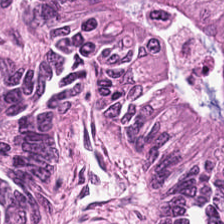224×224 pixel tile; 0.5 microns per pixel; H&E-stained tissue section — Showing adenocarcinoma.
